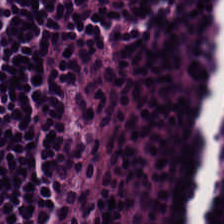Hematoxylin and eosin · formalin-fixed paraffin-embedded section · brightfield.
Tissue class — lymphocytic infiltrate.
